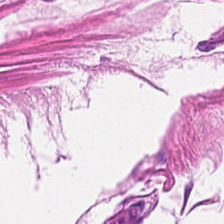Stain: H&E-stained tissue section.
Predominant tissue: smooth muscle.
